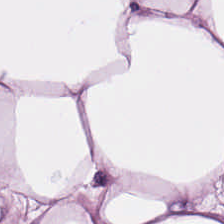Stain: hematoxylin and eosin.
Acquisition: WSI patch.
Preparation: formalin-fixed paraffin-embedded section.
Tissue: adipose tissue.
